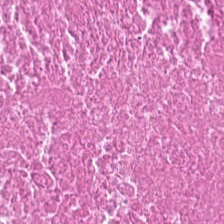Q: What is shown here?
A: Cellular debris.
